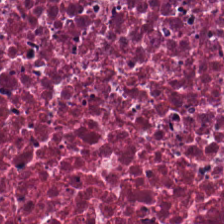H&E stain — Predominant tissue: necrotic debris.
